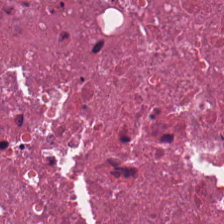Stain: H&E-stained tissue section.
Resolution: 20× equivalent magnification.
Predominant tissue: cellular debris.
